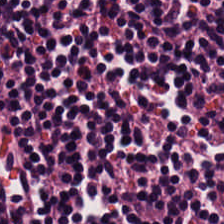Hematoxylin and eosin — Tissue: lymphocytic infiltrate.
